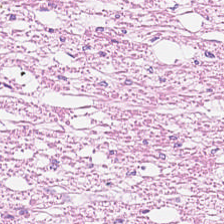H&E patch showing muscularis.
